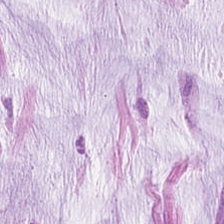Hematoxylin and eosin.
Mucus.
